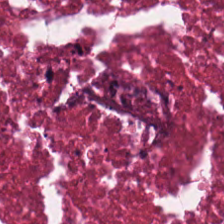H&E. This patch shows debris.
